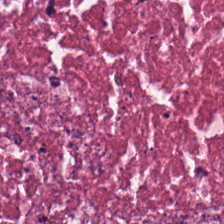224×224 pixel tile · hematoxylin-and-eosin stained section — This patch shows necrotic debris.
